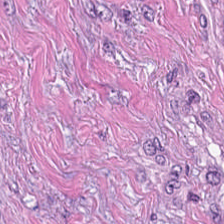H&E-stained tissue section; FFPE tissue section; 0.5 microns per pixel.
This patch shows cancer-associated stroma.
